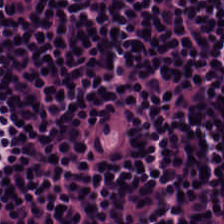The tissue class is lymphoid infiltrate.
